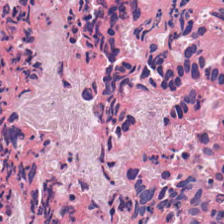This field is necrotic debris.
